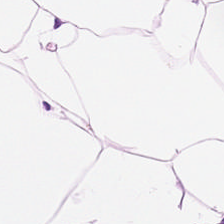H&E stain.
Q: What does this patch show?
A: It is adipose tissue.
